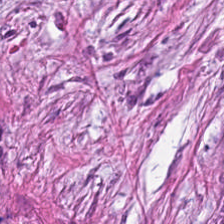224×224 pixel tile. H&E. Tumor-associated stroma.
